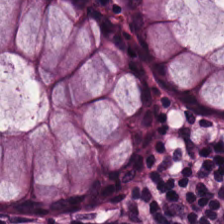224×224 pixel tile · hematoxylin-and-eosin stained section.
Q: What is the predominant tissue type?
A: Normal colonic mucosa.
